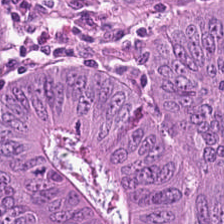Hematoxylin-and-eosin stained section. Showing adenocarcinoma.
